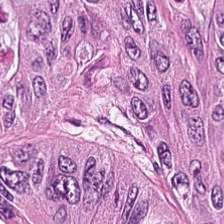Predominant tissue: colorectal adenocarcinoma.
